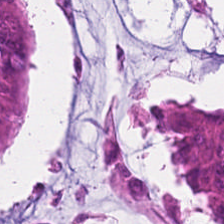Hematoxylin-and-eosin stained section; brightfield — The predominant tissue is tumor epithelium.
